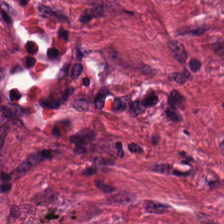224×224 pixel tile; H&E.
Q: What is the predominant tissue type?
A: The field shows tumor stroma.
